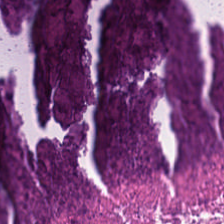Stain: hematoxylin and eosin.
Tissue: necrotic debris.
